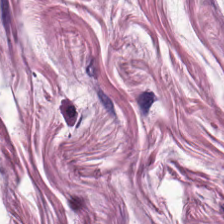H&E — smooth muscle.
